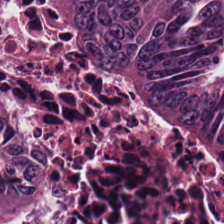Hematoxylin and eosin. Classification: malignant epithelium.
